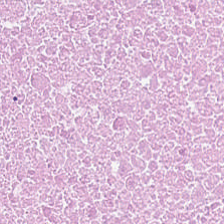Tissue class = debris.
